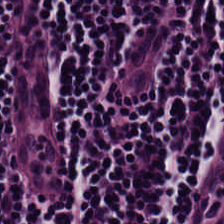Hematoxylin-and-eosin stained section. Lymphocyte aggregate.
